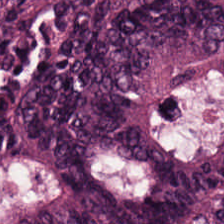H&E-stained tissue section.
This field is colorectal adenocarcinoma.
